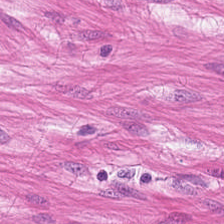FFPE · H&E · 0.5 microns per pixel — The tissue here is smooth muscle.
